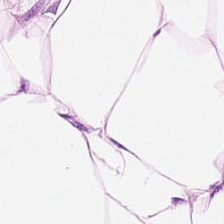This patch shows adipose tissue.
